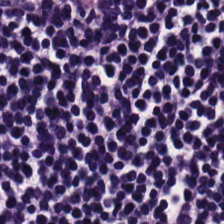Hematoxylin and eosin.
Impression — lymphocytes.
